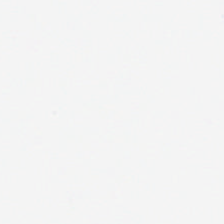Hematoxylin-and-eosin stained section; FFPE tissue section.
No tissue present; background only.
